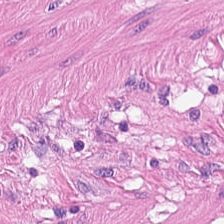0.5 microns per pixel; H&E — Q: What tissue type is shown here?
A: This is smooth-muscle tissue.
